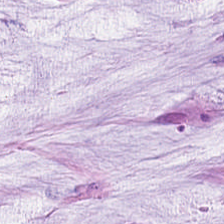Hematoxylin and eosin · 224×224 px tile. The predominant tissue is mucin.
